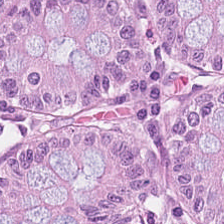{"tissue_type": "normal colonic mucosa"}
